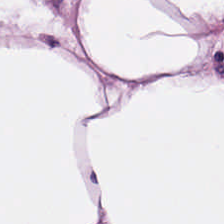Q: Classify this patch.
A: It is fat tissue.
